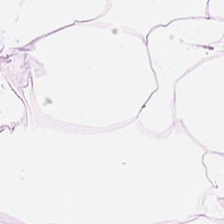Hematoxylin and eosin — Q: What does this patch show?
A: Fat tissue.
